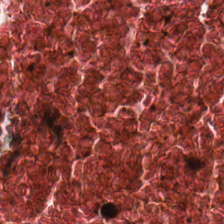224×224 pixel tile. Formalin-fixed paraffin-embedded section. Hematoxylin-and-eosin stained section. The predominant tissue is necrotic debris.
